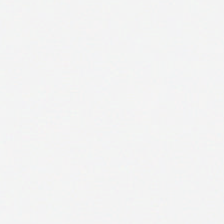Background — no tissue in this field.
